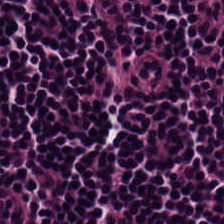Hematoxylin and eosin. 0.5 microns per pixel.
The predominant tissue is lymphocytic infiltrate.
